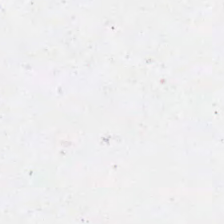This field is background (no tissue).
